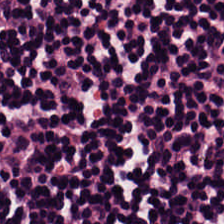H&E · brightfield. Classification = lymphocytic infiltrate.
